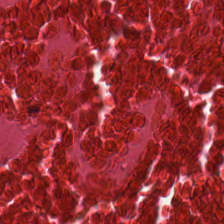H&E-stained tissue section. Histology → cellular debris.
